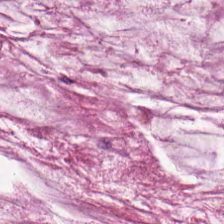H&E.
Q: What does this patch show?
A: It is mucus.
